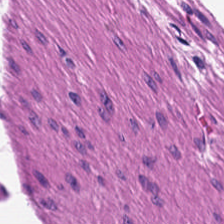Brightfield microscopy. Hematoxylin and eosin. 224×224 px patch. Tissue type — smooth muscle.
